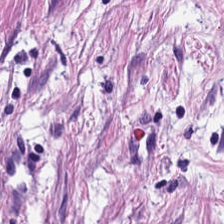Hematoxylin and eosin — Classification: desmoplastic stroma.
